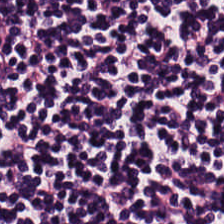Formalin-fixed paraffin-embedded section. H&E-stained tissue section.
Histology — lymphocytes.
